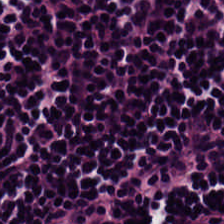Predominant tissue = lymphocyte aggregate.
